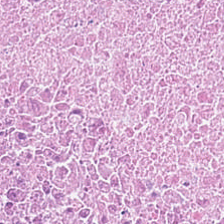Hematoxylin and eosin; FFPE; 224×224 px patch — Tissue type = cellular debris.
